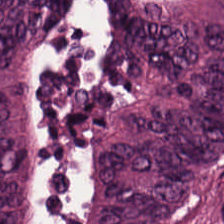Hematoxylin and eosin. Predominantly malignant epithelium.
